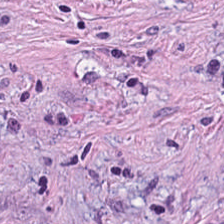FFPE · H&E-stained tissue section. Tumor-associated stroma.
